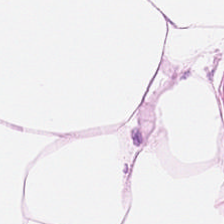Q: What is the predominant tissue type?
A: Adipose.
